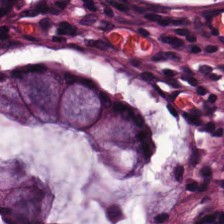H&E stain.
The tissue here is non-neoplastic colon mucosa.
